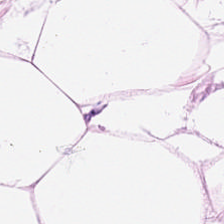H&E stain — {"tissue_type": "adipocytes"}
